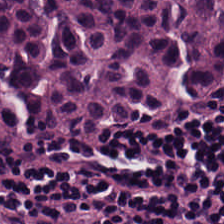20× equivalent magnification. H&E.
Tissue type — lymphocyte aggregate.
